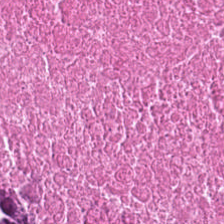Finding — necrotic debris.
